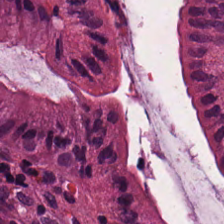H&E.
Normal colon mucosa.
